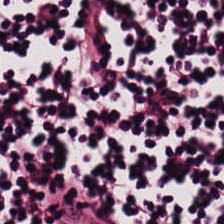224×224 pixel tile · H&E-stained tissue section · brightfield.
Showing lymphocytes.
